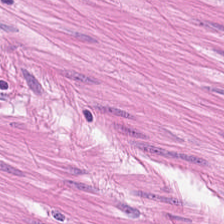Hematoxylin-and-eosin stained section — The tissue here is smooth muscle.
